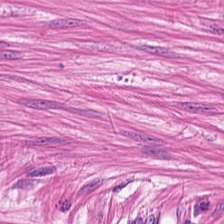Stain: H&E stain.
Tissue class: smooth-muscle tissue.
